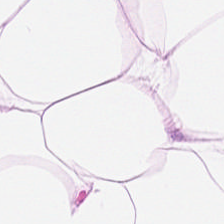Hematoxylin and eosin.
Q: What tissue type is shown here?
A: The field shows adipose.
